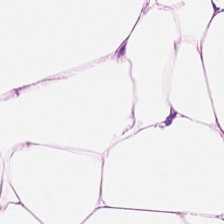H&E stain · 0.5 µm per pixel.
This field is adipocytes.
